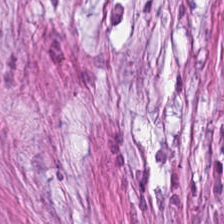Classification = desmoplastic stroma.
